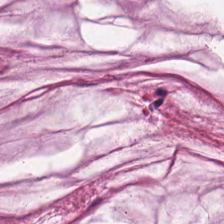224×224 px tile · WSI patch · hematoxylin-and-eosin stained section — Tissue: extracellular mucin.
